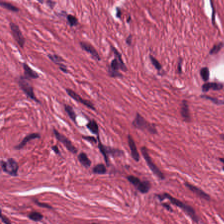Stain: H&E.
Acquisition: WSI patch.
Tile size: 224×224 px tile.
Classification: tumor-associated stroma.
